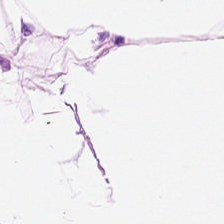Stain: H&E.
Predominant tissue: adipocytes.
